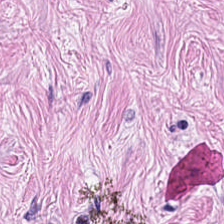0.5 µm per pixel; formalin-fixed paraffin-embedded section; hematoxylin-and-eosin stained section. {"tissue_type": "tumor-associated stroma"}
